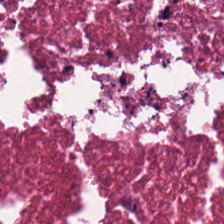Hematoxylin and eosin — {"tissue_type": "necrotic debris"}
